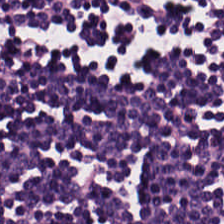This field is lymphocytes.
